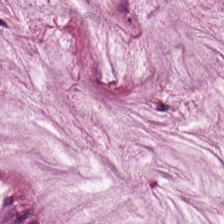H&E-stained tissue section.
Classification: mucin.
